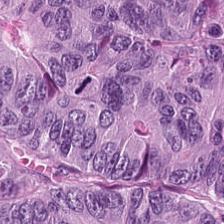Hematoxylin and eosin.
Tissue type: tumor epithelium.
